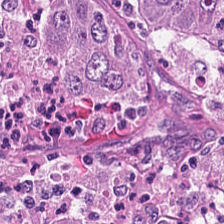Tissue type — malignant epithelium.
